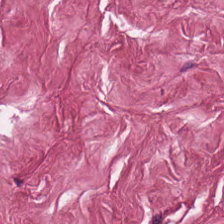Hematoxylin-and-eosin stained section; formalin-fixed paraffin-embedded section — Tumor-associated stroma.
